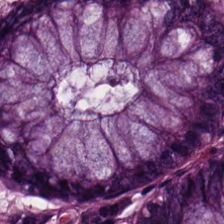Stain: hematoxylin-and-eosin stained section.
Resolution: 0.5 microns per pixel.
Tissue: non-neoplastic colon mucosa.
